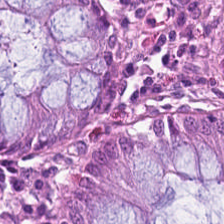224×224 px tile. H&E-stained tissue section. Q: What tissue type is shown here?
A: It is benign colonic mucosa.
